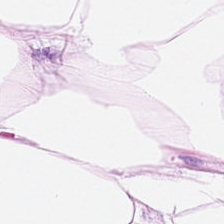The classification is adipocytes.
